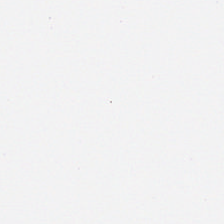224×224 px tile; H&E-stained tissue section; 0.5 µm/px — This patch shows background.
